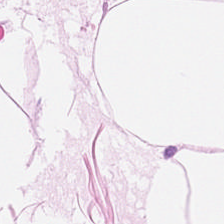Formalin-fixed paraffin-embedded section · hematoxylin-and-eosin stained section — The predominant tissue is adipose.
